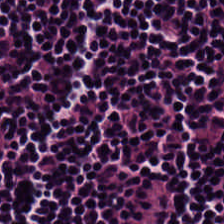Tissue type — lymphoid infiltrate.
